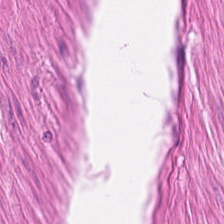Hematoxylin-and-eosin stained section.
Q: What is shown in this field?
A: The field shows muscularis.
